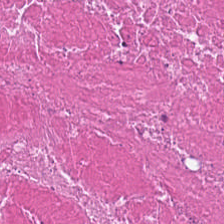H&E-stained tissue section — The tissue class is necrotic debris.
